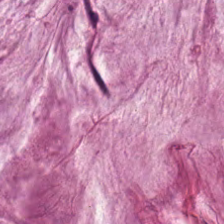0.5 µm per pixel · H&E-stained tissue section.
This patch shows extracellular mucin.
